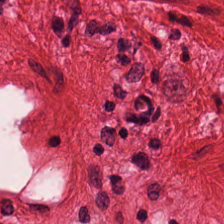0.5 µm/px; H&E.
Tissue type = muscularis.
